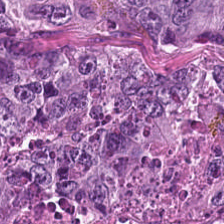H&E · FFPE tissue section — This patch shows colorectal adenocarcinoma epithelium.
